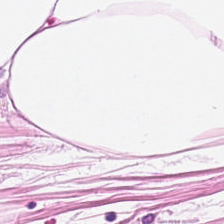The classification is adipocytes.
